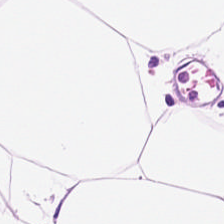Tissue: fat tissue.
